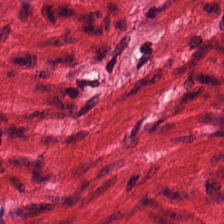FFPE; hematoxylin and eosin.
Predominant tissue = muscularis.
